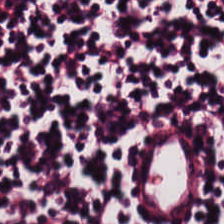Histology — lymphocytic infiltrate.
